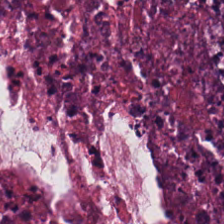Hematoxylin and eosin — The predominant tissue is debris.
